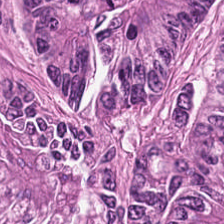H&E stain — Tissue class = tumor epithelium.
